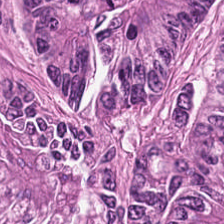H&E stain — Tissue class = tumor epithelium.
